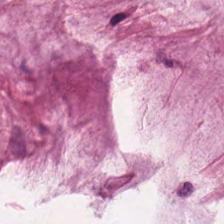Hematoxylin and eosin. Histology — mucus.
